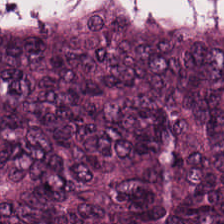Tumor epithelium.
